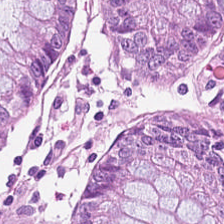WSI patch · H&E stain — Q: What is shown in this field?
A: This is normal colonic mucosa.
